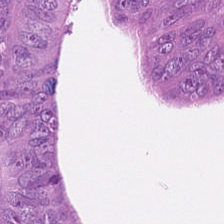Hematoxylin and eosin. Predominant tissue — colorectal adenocarcinoma epithelium.
